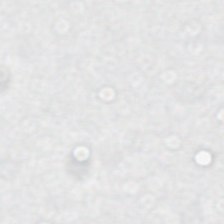224×224 px tile. H&E-stained tissue section.
Q: What is shown here?
A: Empty background.
